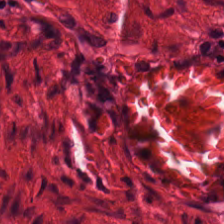Stain: H&E-stained tissue section.
Resolution: 0.5 microns per pixel.
Preparation: FFPE.
Tissue class: smooth muscle.
